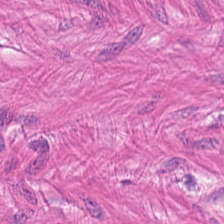FFPE. Hematoxylin and eosin. {"tissue_type": "smooth muscle"}
